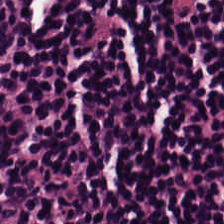H&E stain.
Q: What tissue type is shown here?
A: This is lymphocytes.
